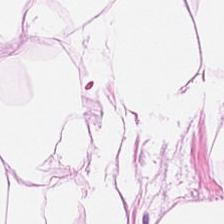224×224 px patch; H&E stain. Predominantly fat tissue.
